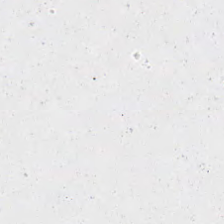Hematoxylin-and-eosin stained section.
{"content": "background"}
